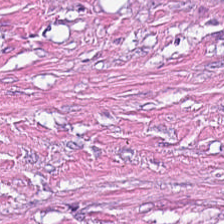224×224 px patch · whole-slide-image patch · H&E-stained tissue section.
Predominantly desmoplastic stroma.
